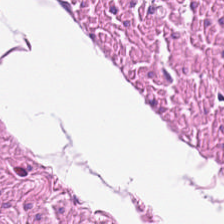Hematoxylin and eosin; 0.5 µm per pixel; 224×224 pixel tile.
Tissue class: smooth muscle.
